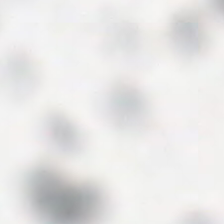0.5 µm per pixel · H&E-stained tissue section · 224×224 px patch.
Content = empty background.
